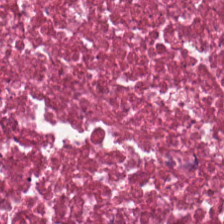20× equivalent magnification; H&E stain; FFPE tissue section. Tissue: debris.
